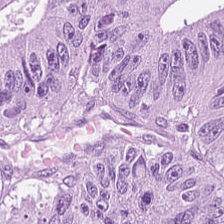H&E — The predominant tissue is tumor epithelium.
